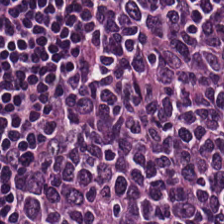Predominant tissue = lymphocytes.
